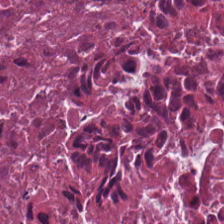Hematoxylin-and-eosin stained section — Showing cellular debris.
